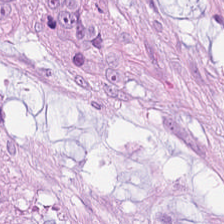H&E — colorectal adenocarcinoma.
